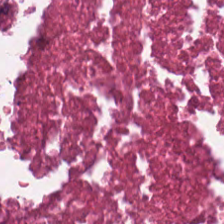The tissue type is necrotic debris.
